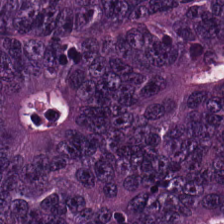H&E-stained tissue section showing colorectal adenocarcinoma.
